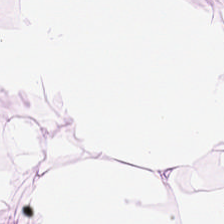{"tissue_type": "fat tissue"}
